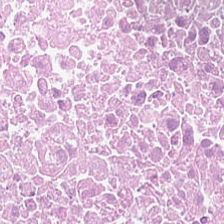20× equivalent magnification. H&E stain.
Histology → necrotic debris.
